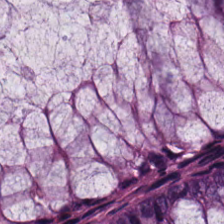Stain: hematoxylin and eosin.
Preparation: formalin-fixed paraffin-embedded section.
Acquisition: whole-slide-image patch.
Classification: benign colonic mucosa.
